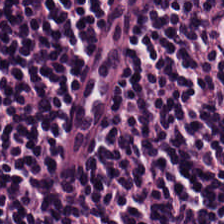Hematoxylin and eosin — Tissue type — lymphocytes.
